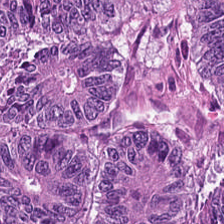0.5 microns per pixel · H&E stain · formalin-fixed paraffin-embedded section. The predominant tissue is colorectal adenocarcinoma.
